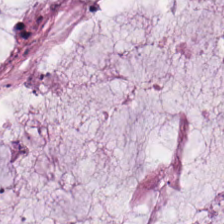H&E stain. Q: What is shown here?
A: This is mucus.
